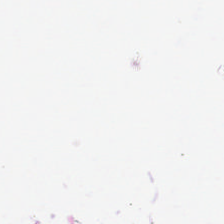Hematoxylin and eosin. Field content = empty background.
